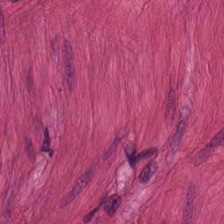Brightfield. 0.5 microns per pixel. Hematoxylin-and-eosin stained section. Predominant tissue: smooth-muscle tissue.
